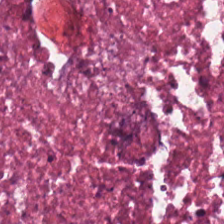H&E stain.
Q: What does this patch show?
A: The field shows necrotic debris.
